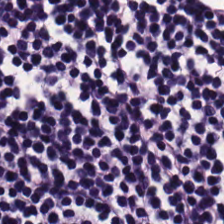H&E · 224×224 px patch · whole-slide-image patch.
The predominant tissue is lymphocyte aggregate.
